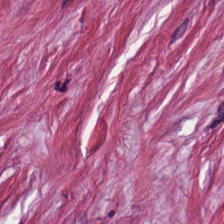H&E. Finding — tumor stroma.
